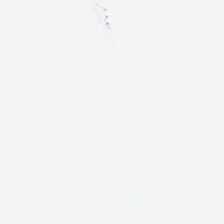Empty field — empty background.
